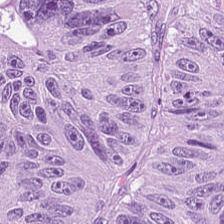Stain: hematoxylin and eosin.
Preparation: formalin-fixed paraffin-embedded section.
Tissue: adenocarcinoma.
